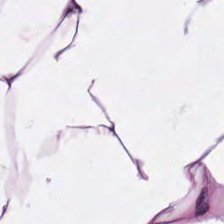Hematoxylin-and-eosin stained section. Tissue class = fat tissue.
